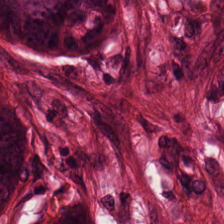WSI patch. H&E. Q: What tissue is shown?
A: The field shows colorectal adenocarcinoma epithelium.
